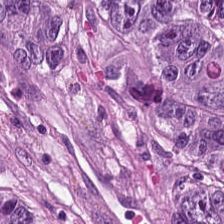The tissue here is malignant epithelium.
